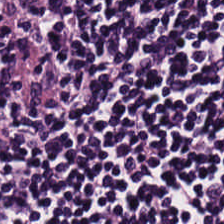Q: Identify the tissue.
A: It is lymphocytic infiltrate.
